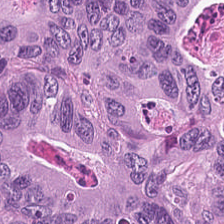H&E. Histology → colorectal adenocarcinoma epithelium.
